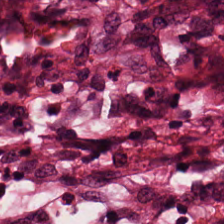H&E.
Tissue — tumor stroma.
